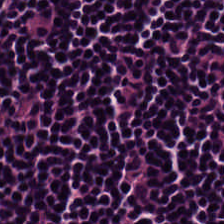H&E stain.
The predominant tissue is lymphocytes.
